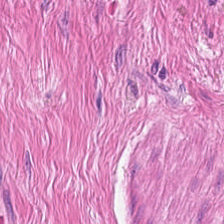H&E-stained tissue section — Q: What does this patch show?
A: It is muscularis.
